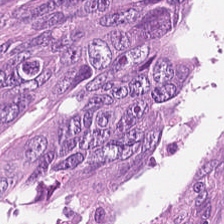Hematoxylin-and-eosin stained section. Predominantly tumor epithelium.
